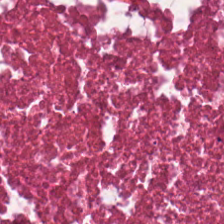224×224 pixel tile · H&E — The predominant tissue is cellular debris.
